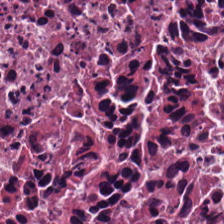Q: What is shown in this field?
A: This is cellular debris.
